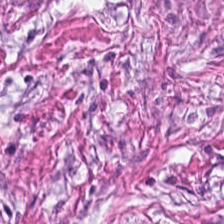{"tissue_type": "tumor-associated stroma"}
